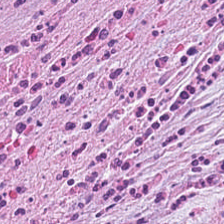H&E.
Tissue class = cancer-associated stroma.
